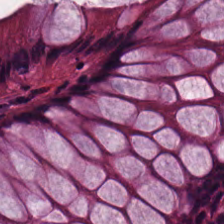Hematoxylin-and-eosin stained section. 224×224 px patch. This field is normal colon mucosa.
